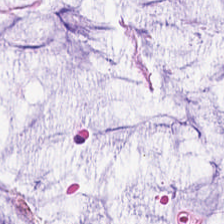Stain: H&E-stained tissue section.
Preparation: FFPE tissue section.
Tissue class: mucus.
